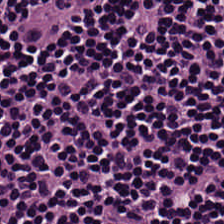0.5 µm per pixel · H&E stain. Q: What is the predominant tissue type?
A: It is lymphocyte aggregate.
